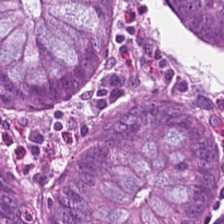Formalin-fixed paraffin-embedded section; 0.5 µm/px; H&E.
This patch shows benign colonic mucosa.
